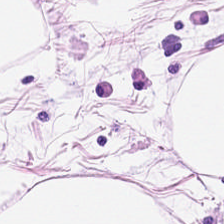Q: What is the predominant tissue type?
A: The field shows adipose tissue.
